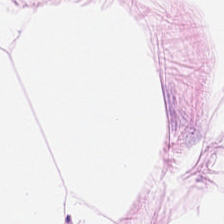H&E stain. Adipocytes.
